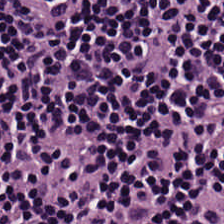H&E stain. Classification = lymphocytes.
